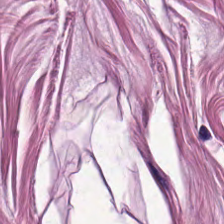H&E. Impression → smooth-muscle tissue.
